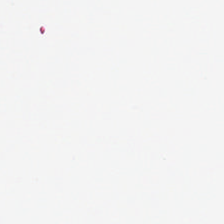Hematoxylin-and-eosin stained section. FFPE tissue section. 0.5 microns per pixel.
Empty field — background.
